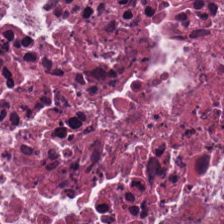Whole-slide-image patch; hematoxylin-and-eosin stained section — Tissue — debris.
